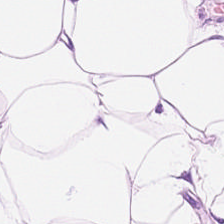Hematoxylin-and-eosin stained section. The tissue here is adipocytes.
